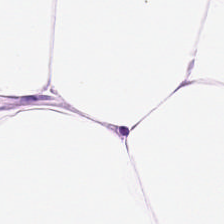224×224 px tile; hematoxylin-and-eosin stained section — Tissue type — adipose tissue.
